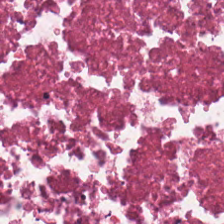Hematoxylin-and-eosin stained section.
Showing necrotic debris.
